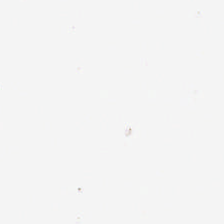Hematoxylin-and-eosin stained section · 224×224 px patch. Background (no tissue).
